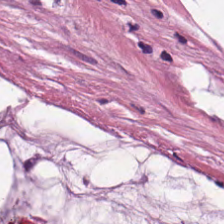Tissue type = mucin.
